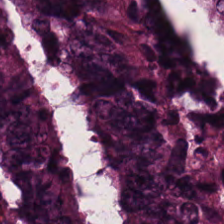Stain: H&E stain.
Tissue class: tumor epithelium.
